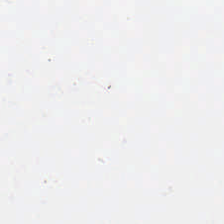Hematoxylin and eosin · 224×224 px tile.
Empty field — background (no tissue).
